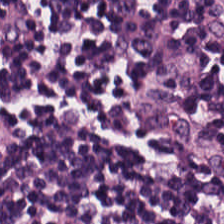Stain: hematoxylin-and-eosin stained section.
Tissue: lymphocytes.
